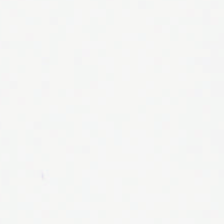Q: What does this patch show?
A: It is background.
